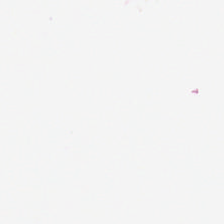Hematoxylin-and-eosin stained section.
Empty field — empty background.
